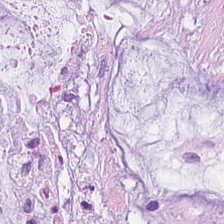Hematoxylin-and-eosin stained section — Tissue type: mucus.
